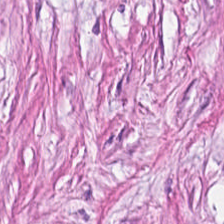Hematoxylin and eosin — This patch shows tumor stroma.
